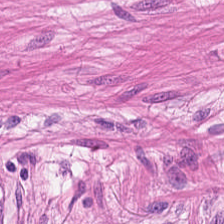Histology — smooth-muscle tissue.
